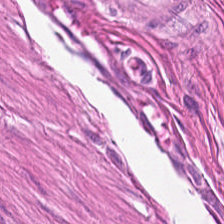Hematoxylin and eosin. This patch shows smooth-muscle tissue.
